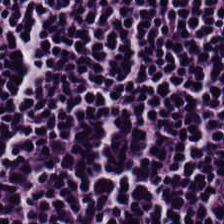Tissue class: lymphocyte aggregate.
